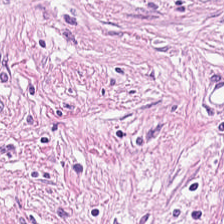H&E — tumor stroma.
